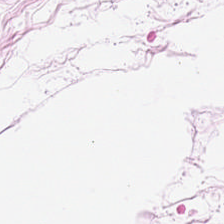Q: What is shown in this field?
A: The field shows adipocytes.
